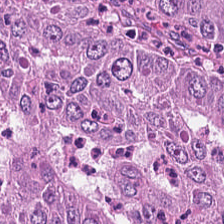Hematoxylin-and-eosin stained section.
Q: What tissue type is shown here?
A: The field shows colorectal adenocarcinoma.
